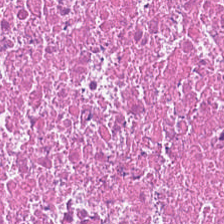Q: Classify this patch.
A: The field shows cellular debris.
